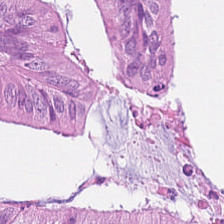The predominant tissue is tumor epithelium.
